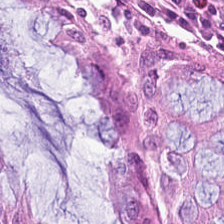WSI patch. 224×224 px patch. H&E — The predominant tissue is non-neoplastic colon mucosa.
